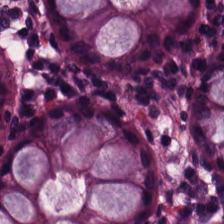H&E stain · 0.5 µm/px.
The tissue is normal colonic mucosa.
